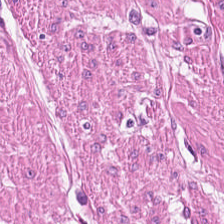FFPE tissue section · 0.5 µm per pixel · H&E stain — Muscularis.
